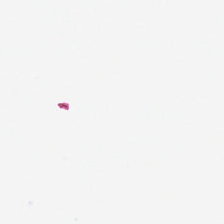Stain: H&E.
Field content: background (no tissue).
